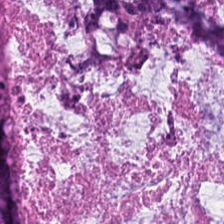0.5 µm/px · FFPE tissue section · H&E stain. Classification = mucin.
